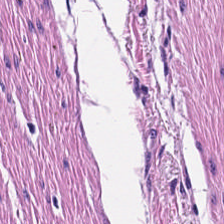Hematoxylin-and-eosin stained section. FFPE. 224×224 pixel tile. Showing muscularis.
